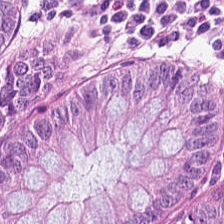Finding → normal colon mucosa.
